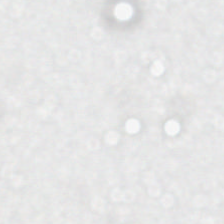H&E-stained tissue section.
Background — no tissue in this field.
